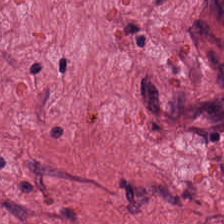Hematoxylin and eosin — Predominantly tumor stroma.
